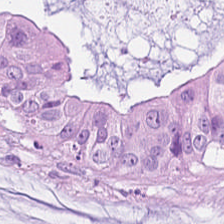Formalin-fixed paraffin-embedded section; H&E stain.
The predominant tissue is extracellular mucin.
